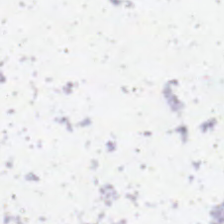Empty field — empty background.
